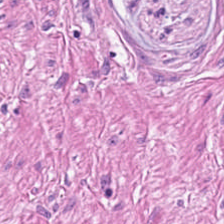Hematoxylin-and-eosin stained section.
Impression → smooth muscle.
